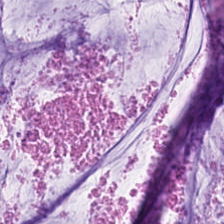Stain: H&E.
Resolution: 0.5 µm/px.
Acquisition: WSI patch.
Tissue type: mucin.
